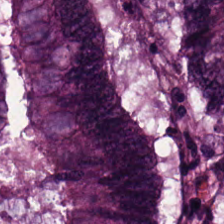H&E — Showing malignant epithelium.
